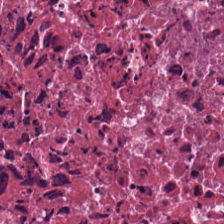Whole-slide-image patch; FFPE; H&E — Necrotic debris.
